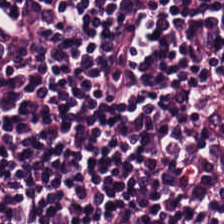Stain: H&E stain.
Tissue type: lymphocytic infiltrate.
